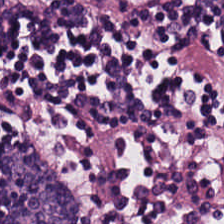{"tissue_type": "lymphocyte aggregate"}
